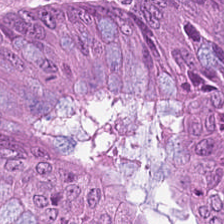H&E — The predominant tissue is colorectal adenocarcinoma epithelium.
